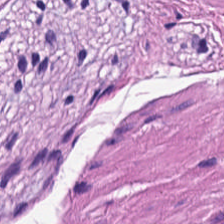The tissue here is smooth muscle.
